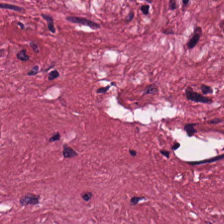Hematoxylin-and-eosin section: tumor stroma.
